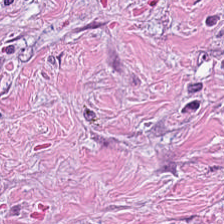Q: What type of tissue is this?
A: Cancer-associated stroma.
